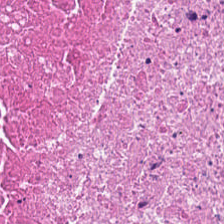H&E-stained tissue section showing cellular debris.
